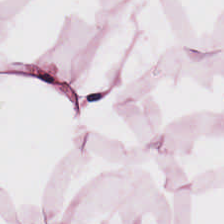H&E patch showing fat tissue.
